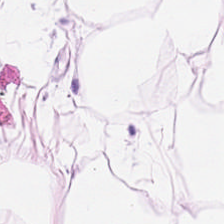H&E-stained tissue section; 20× equivalent magnification.
Tissue type = fat tissue.
